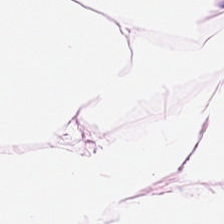H&E stain — {"tissue_type": "adipocytes"}
